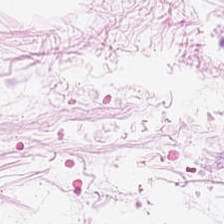Predominantly adipose.
